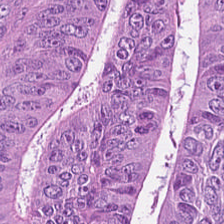224×224 px patch · H&E stain · formalin-fixed paraffin-embedded section. This patch shows malignant epithelium.
